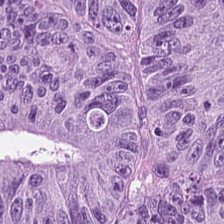H&E stain. Formalin-fixed paraffin-embedded section.
Showing adenocarcinoma.
